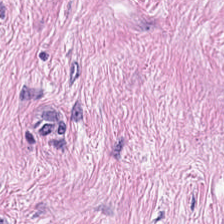Stain: H&E stain.
Predominant tissue: cancer-associated stroma.
